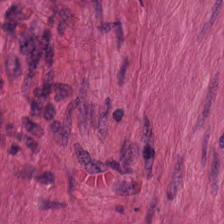Whole-slide-image patch · FFPE tissue section · hematoxylin-and-eosin stained section. Q: What type of tissue is this?
A: It is smooth muscle.
